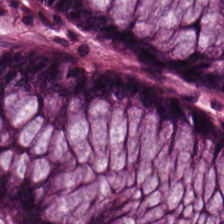224×224 px patch; H&E.
Q: What is shown here?
A: This is normal colonic mucosa.
